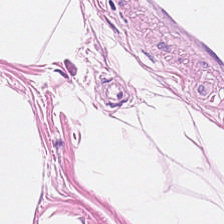H&E stain — Finding → adipocytes.
